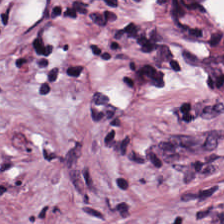224×224 pixel tile; hematoxylin-and-eosin stained section — Tissue — desmoplastic stroma.
